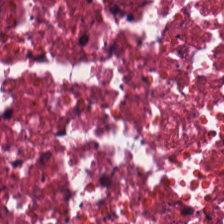H&E-stained tissue section · 224×224 pixel tile · 0.5 µm per pixel.
Predominant tissue: cellular debris.
